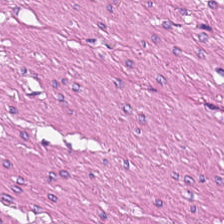224×224 pixel tile. Hematoxylin-and-eosin stained section.
Tissue = muscularis.
